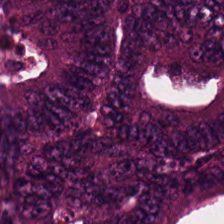Hematoxylin-and-eosin stained section. FFPE tissue section. Q: What is shown here?
A: This is colorectal adenocarcinoma epithelium.
